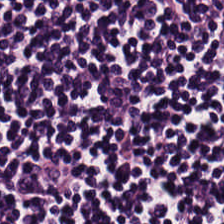H&E. The tissue here is lymphocytic infiltrate.
